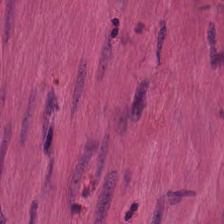Stain: hematoxylin and eosin.
Predominant tissue: smooth-muscle tissue.
